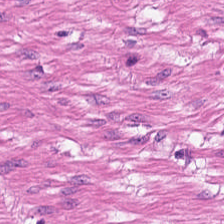H&E-stained tissue section · 224×224 px tile — Showing smooth muscle.
